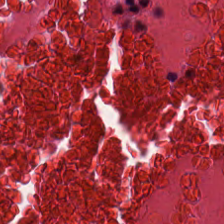Hematoxylin and eosin. FFPE. Predominantly necrotic debris.
